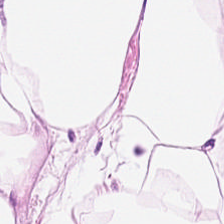20× equivalent magnification; H&E stain — Q: What is shown in this field?
A: The field shows adipose.
